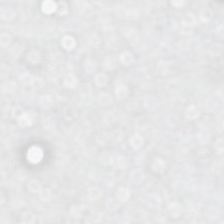Hematoxylin and eosin. Brightfield. This patch shows background.
